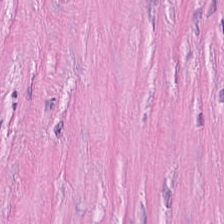H&E; FFPE tissue section; whole-slide-image patch. This field is desmoplastic stroma.
